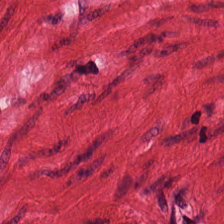0.5 microns per pixel. H&E-stained tissue section. Finding → smooth muscle.
